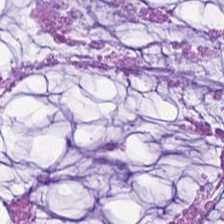Hematoxylin and eosin.
Tissue = extracellular mucin.
